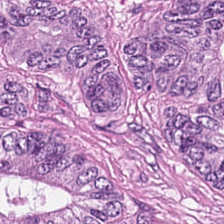The tissue class is colorectal adenocarcinoma epithelium.
